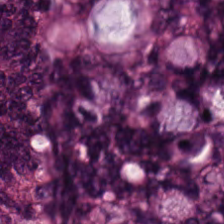Q: What is shown here?
A: The field shows adenocarcinoma.
